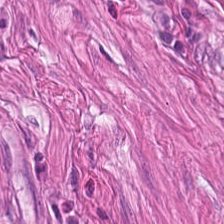H&E · 224×224 px patch — Tissue class = smooth muscle.
